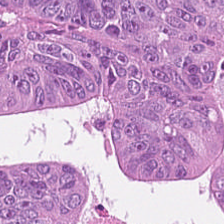H&E stain.
Predominant tissue — malignant epithelium.
